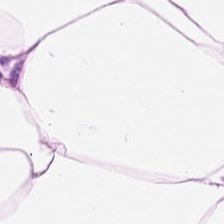Hematoxylin-and-eosin stained section · 0.5 microns per pixel. This field is fat tissue.
